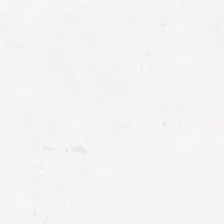Stain: H&E-stained tissue section.
Content: empty background.
